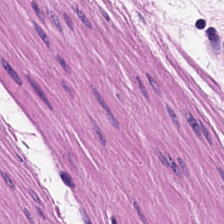Brightfield microscopy; H&E-stained tissue section. The tissue here is muscularis.
